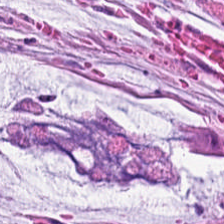Stain: H&E.
Preparation: FFPE.
Resolution: 0.5 microns per pixel.
Tissue type: extracellular mucin.
